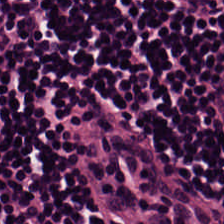{"tissue_type": "lymphocyte aggregate"}
